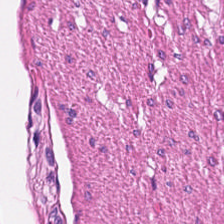H&E-stained tissue section — Predominantly smooth muscle.
